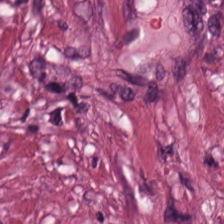H&E patch showing tumor-associated stroma.
